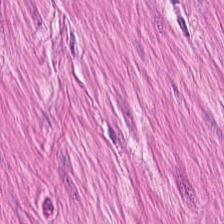This patch shows muscularis.
